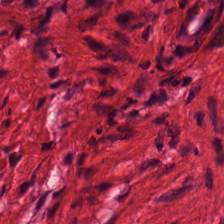Hematoxylin-and-eosin stained section. Q: What tissue type is shown here?
A: It is muscularis.
